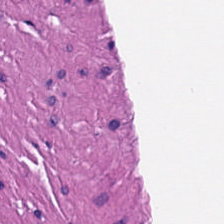H&E-stained tissue section showing smooth muscle.
